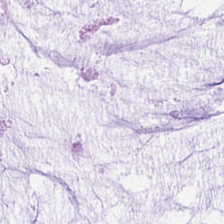224×224 pixel tile. FFPE. H&E — Classification = extracellular mucin.
